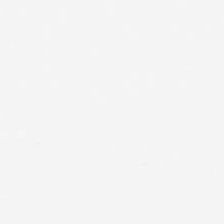H&E stain — Content — empty background.
